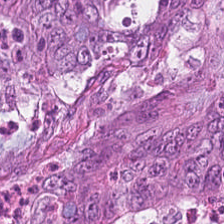H&E.
Tissue class — colorectal adenocarcinoma.
